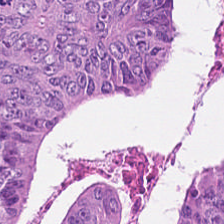H&E — This field is colorectal adenocarcinoma.
